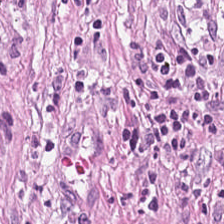Q: What does this patch show?
A: Tumor stroma.
